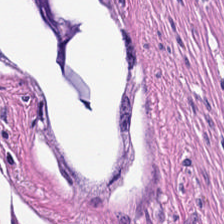H&E. Histology — muscularis.
